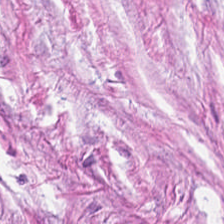H&E. The predominant tissue is tumor stroma.
